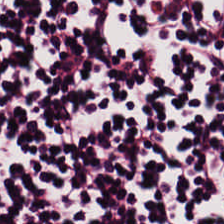H&E stain. Q: What is shown here?
A: It is lymphoid infiltrate.
